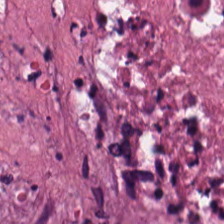224×224 pixel tile · H&E-stained tissue section · brightfield microscopy.
Q: What type of tissue is this?
A: Necrotic debris.
